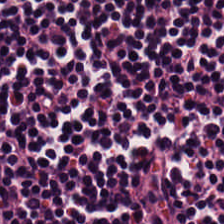H&E. 224×224 pixel tile.
Impression → lymphoid infiltrate.
